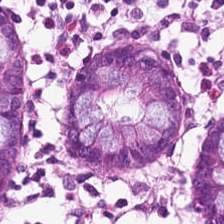This patch shows normal colon mucosa.
